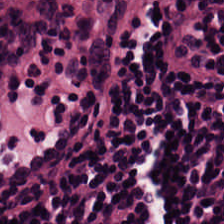Q: What tissue is shown?
A: This is lymphocytes.
